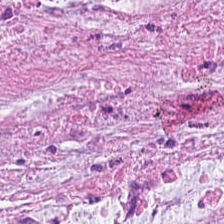H&E-stained tissue section — The tissue here is mucus.
